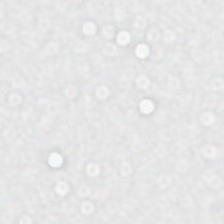FFPE tissue section. Hematoxylin and eosin.
Content = background (no tissue).
